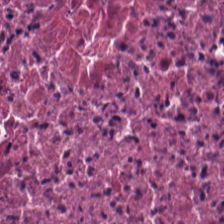Stain: H&E.
Tissue: debris.
